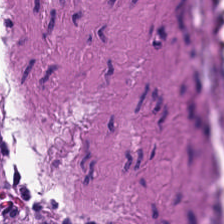H&E patch showing smooth-muscle tissue.
